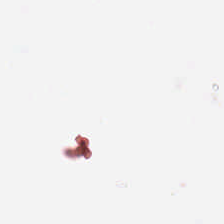Background — no tissue in this field.
